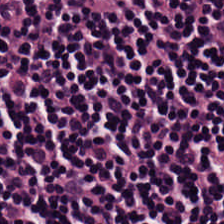Stain: hematoxylin and eosin.
Resolution: 0.5 microns per pixel.
Predominant tissue: lymphoid infiltrate.
